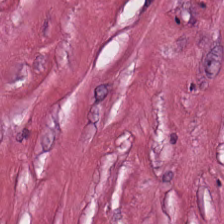Tissue type — tumor-associated stroma.
